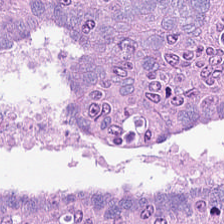0.5 µm/px · H&E-stained tissue section · FFPE — Colorectal adenocarcinoma epithelium.
